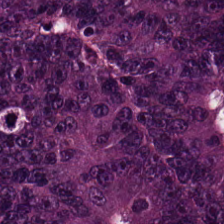FFPE. 0.5 microns per pixel. H&E.
Histology — colorectal adenocarcinoma epithelium.
